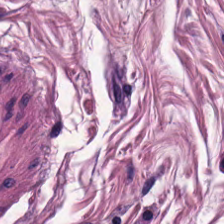H&E. The tissue type is smooth muscle.
